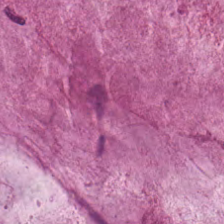Tissue type = extracellular mucin.
